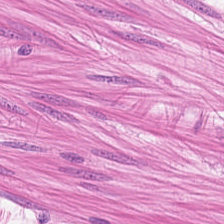Hematoxylin-and-eosin stained section. Muscularis.
